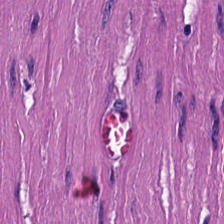Brightfield · H&E stain · 224×224 px patch. Q: What is shown in this field?
A: The field shows muscularis.
